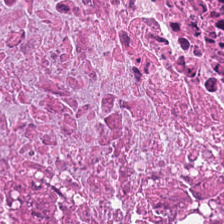H&E-stained tissue section; FFPE tissue section.
Q: Classify this patch.
A: Necrotic debris.
